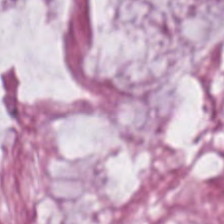H&E.
Extracellular mucin.
